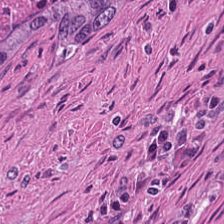H&E stain · 224×224 px tile.
{"tissue_type": "necrotic debris"}
